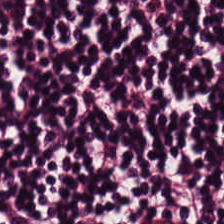0.5 µm per pixel. H&E-stained tissue section.
Impression — lymphocytes.
